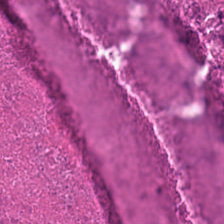H&E-stained section; the field shows cellular debris.
